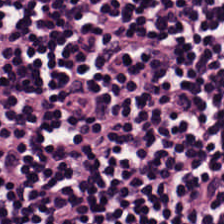H&E. The tissue here is lymphocytic infiltrate.
